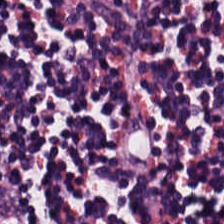Stain: hematoxylin-and-eosin stained section.
Tissue type: lymphocyte aggregate.
